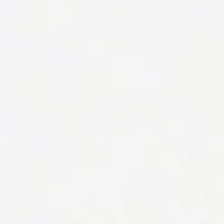H&E.
Q: What does this patch show?
A: This is no tissue.
